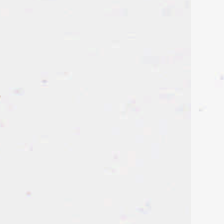Q: What is shown here?
A: It is no tissue.
